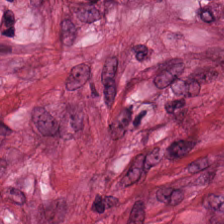H&E.
{"tissue_type": "tumor stroma"}
